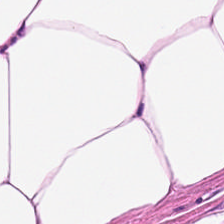Stain: H&E.
Tissue type: adipose.
